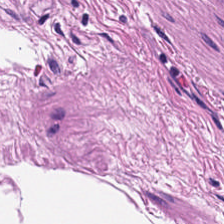Hematoxylin-and-eosin stained section — {"tissue_type": "smooth muscle"}
